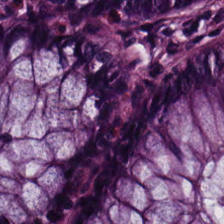Tissue class = normal colonic mucosa.
